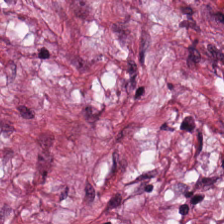Hematoxylin and eosin · FFPE.
Classification: tumor-associated stroma.
